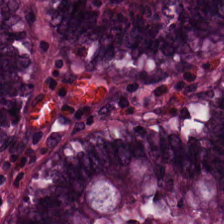The tissue type is normal colonic mucosa.
